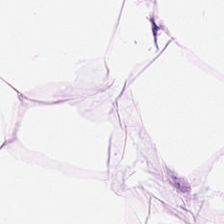Hematoxylin and eosin. 224×224 px patch. 0.5 µm/px.
This patch shows adipocytes.
